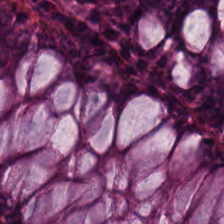H&E stain. 20× equivalent magnification.
Finding → normal colonic mucosa.
